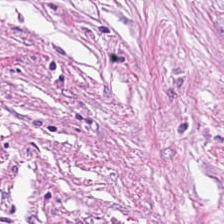H&E stain — {"tissue_type": "cancer-associated stroma"}
